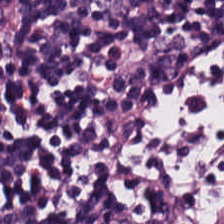H&E stain. {"tissue_type": "lymphocyte aggregate"}
